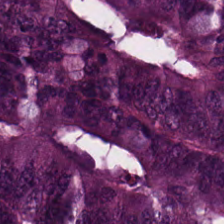H&E stain.
Predominantly colorectal adenocarcinoma epithelium.
